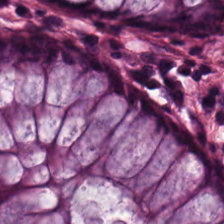H&E-stained tissue section; 224×224 pixel tile; FFPE — The predominant tissue is non-neoplastic colon mucosa.
